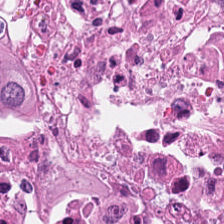H&E-stained tissue section · 224×224 px tile · brightfield.
This patch shows necrotic debris.
